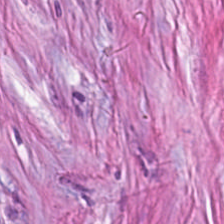FFPE tissue section. H&E-stained tissue section — The tissue class is tumor stroma.
